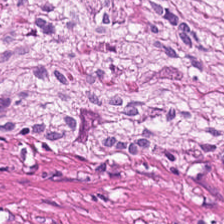Hematoxylin-and-eosin stained section. The tissue class is smooth-muscle tissue.
